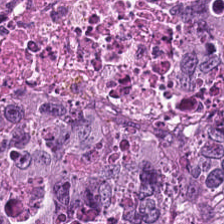0.5 µm per pixel · H&E.
{"tissue_type": "colorectal adenocarcinoma"}
